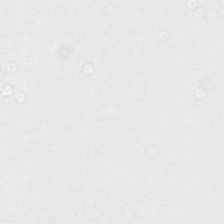H&E-stained tissue section.
Background — no tissue in this field.
